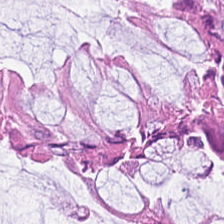Hematoxylin and eosin · 224×224 px patch · whole-slide-image patch.
Finding → normal colon mucosa.
